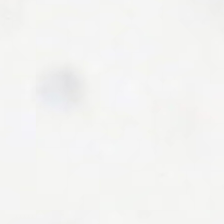The content is no tissue.
